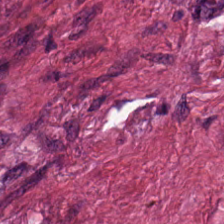H&E — Tissue: desmoplastic stroma.
